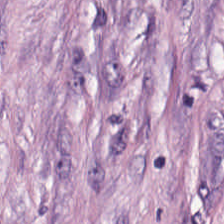Q: What is shown here?
A: The field shows desmoplastic stroma.
